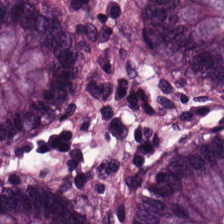Q: What tissue type is shown here?
A: It is benign colonic mucosa.
